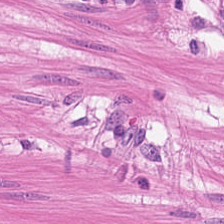Histology → muscularis.
